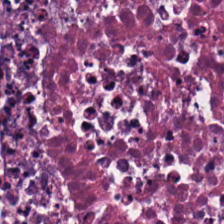Cellular debris.
